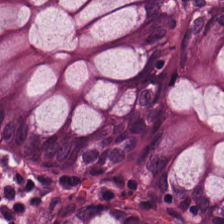H&E-stained tissue section — Tissue class: non-neoplastic colon mucosa.
